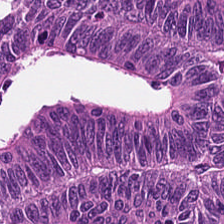Stain: H&E-stained tissue section.
Classification: colorectal adenocarcinoma.
